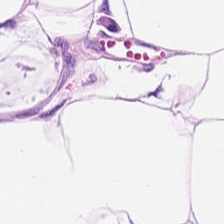224×224 px tile; WSI patch; H&E stain. Q: What is shown in this field?
A: It is adipose.
